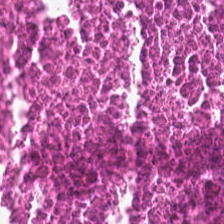H&E-stained tissue section.
Predominantly debris.
